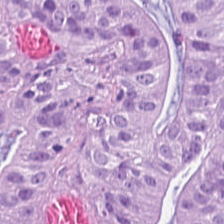Tissue class: colorectal adenocarcinoma.
